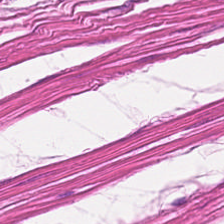224×224 px tile. Hematoxylin and eosin. 0.5 µm/px — The classification is smooth muscle.
